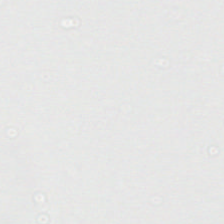Hematoxylin and eosin. 20× equivalent magnification — Impression — background (no tissue).
